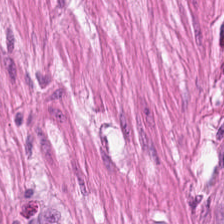Q: What type of tissue is this?
A: It is muscularis.
